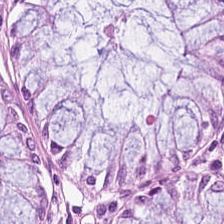H&E. The tissue is non-neoplastic colon mucosa.
